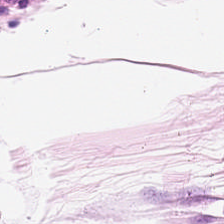Predominant tissue — adipose.
